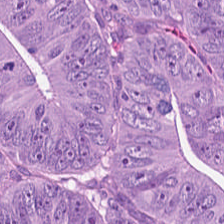H&E stain — This field is adenocarcinoma.
